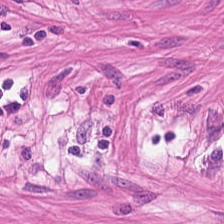Hematoxylin and eosin. 0.5 microns per pixel — Q: Identify the tissue.
A: This is smooth-muscle tissue.
